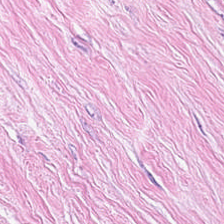H&E. 0.5 microns per pixel. This patch shows cancer-associated stroma.
